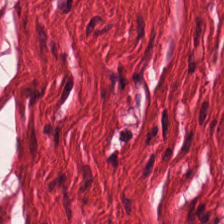H&E. The classification is muscularis.
